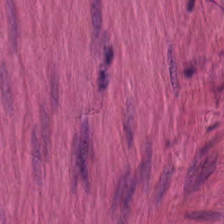Q: Identify the tissue.
A: The field shows smooth-muscle tissue.
